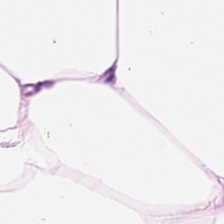Formalin-fixed paraffin-embedded section. H&E-stained tissue section.
This patch shows adipose tissue.
